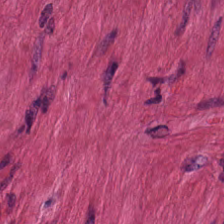224×224 px tile. H&E-stained tissue section. FFPE. Predominantly smooth-muscle tissue.
